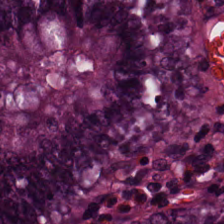H&E — Predominant tissue = non-neoplastic colon mucosa.
